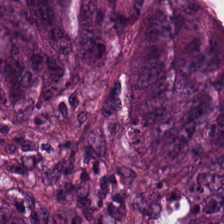Hematoxylin-and-eosin section: adenocarcinoma.
